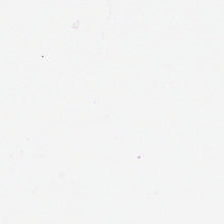The classification is no tissue.
